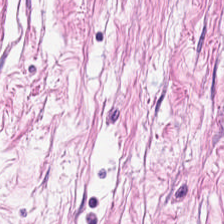20× equivalent magnification · H&E stain.
Tissue — tumor-associated stroma.
